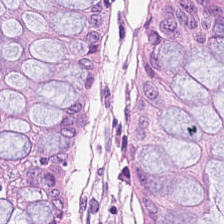Stain: hematoxylin-and-eosin stained section.
Predominant tissue: normal colon mucosa.
